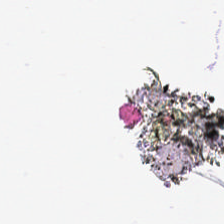Stain: H&E.
Classification: no tissue.
